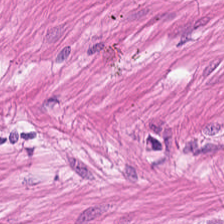Tissue class — smooth-muscle tissue.
